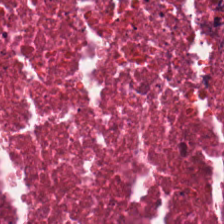Q: Classify this patch.
A: It is cellular debris.
